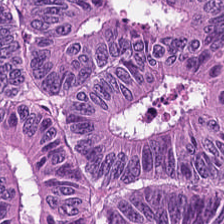Q: What tissue is shown?
A: It is adenocarcinoma.
